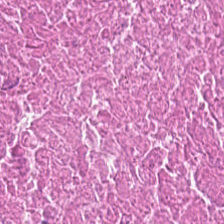H&E. This patch shows debris.
